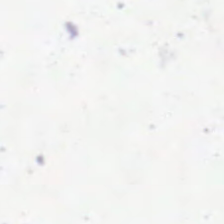224×224 px patch; H&E stain; brightfield — Q: Classify this patch.
A: It is no tissue.
